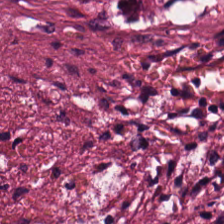H&E-stained tissue section. The predominant tissue is desmoplastic stroma.
